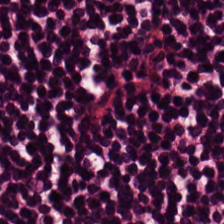Hematoxylin and eosin · brightfield — Lymphoid infiltrate.
